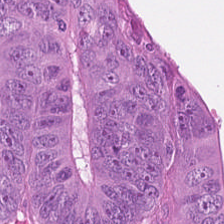Finding → colorectal adenocarcinoma.
